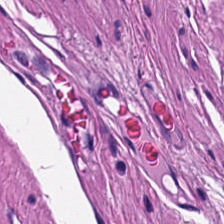{"tissue_type": "muscularis"}
